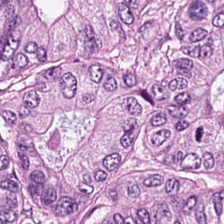H&E-stained tissue section. Formalin-fixed paraffin-embedded section.
Tissue type: colorectal adenocarcinoma.
